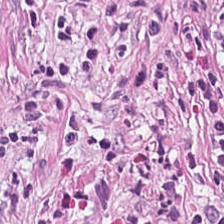This field is tumor-associated stroma.
